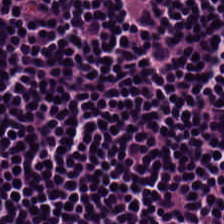224×224 px tile. FFPE. H&E-stained tissue section. The tissue is lymphoid infiltrate.
